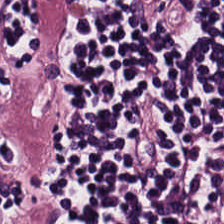Tissue type: lymphoid infiltrate.
